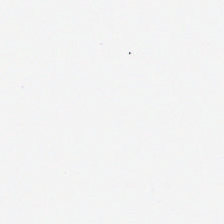Stain: H&E.
Content: background.
